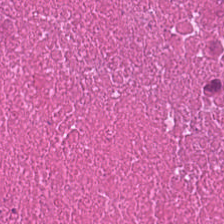Impression — debris.
